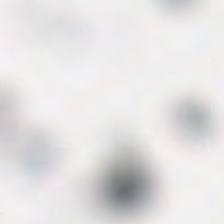Brightfield; H&E. Q: What is shown here?
A: Empty background.
